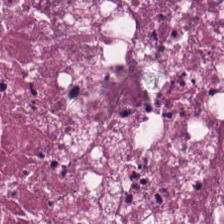20× equivalent magnification; hematoxylin and eosin; brightfield microscopy. Impression → cellular debris.
